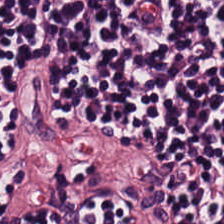H&E stain — The predominant tissue is lymphocytes.
